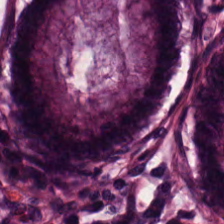Classification: benign colonic mucosa.
